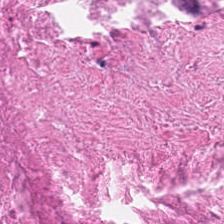H&E-stained tissue section.
The predominant tissue is cellular debris.
